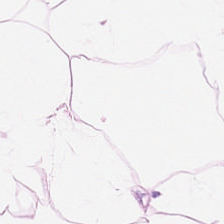Impression → adipose tissue.
